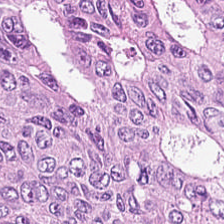FFPE. H&E-stained tissue section. Finding → tumor epithelium.
